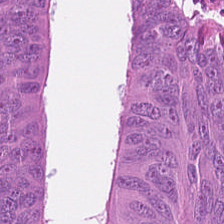Whole-slide-image patch. H&E stain. FFPE — Histology — adenocarcinoma.
